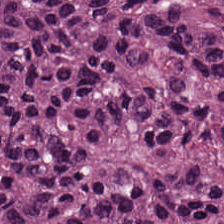FFPE tissue section; H&E — Colorectal adenocarcinoma epithelium.
